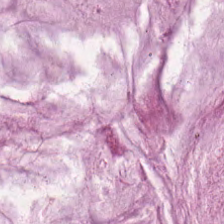Q: What is shown in this field?
A: This is mucin.
